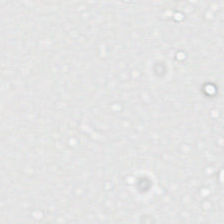H&E · 224×224 pixel tile · 0.5 µm per pixel. Impression → background.
